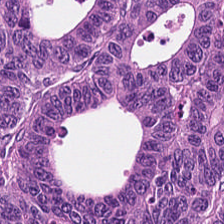WSI patch. H&E-stained tissue section. {"tissue_type": "malignant epithelium"}
